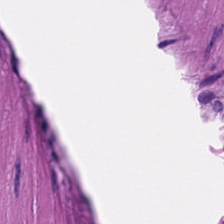224×224 px patch · H&E stain.
Predominantly smooth-muscle tissue.
